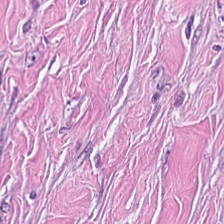Showing cancer-associated stroma.
